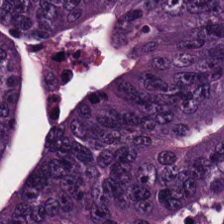Stain: hematoxylin-and-eosin stained section.
Resolution: 0.5 µm per pixel.
Preparation: FFPE tissue section.
Tissue class: colorectal adenocarcinoma epithelium.
